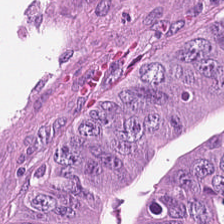H&E-stained tissue section. Q: Classify this patch.
A: Tumor epithelium.
